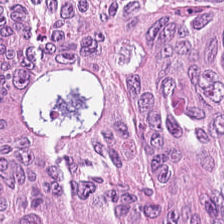H&E stain.
Q: What type of tissue is this?
A: This is colorectal adenocarcinoma epithelium.
